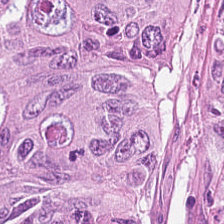Tissue class — malignant epithelium.
